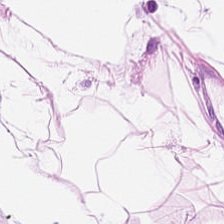224×224 px patch · hematoxylin-and-eosin stained section. Predominantly fat tissue.
